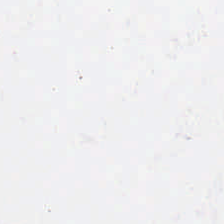Hematoxylin and eosin. FFPE. Brightfield — No tissue present; background only.
